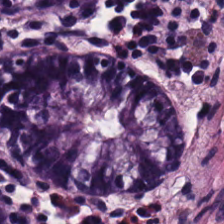H&E stain — This field is normal colon mucosa.
